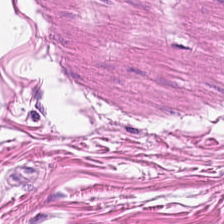20× equivalent magnification. Brightfield. H&E stain. Tissue — smooth-muscle tissue.
